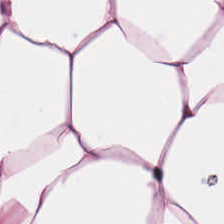H&E stain. 224×224 pixel tile — Q: What is shown in this field?
A: Adipose.
